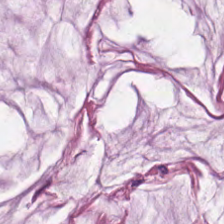Hematoxylin and eosin; brightfield.
Predominantly mucin.
